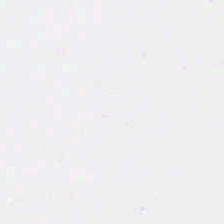FFPE tissue section; H&E. Q: What does this patch show?
A: It is background.
